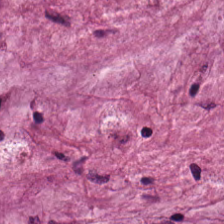Stain: hematoxylin-and-eosin stained section.
Tissue class: mucus.
